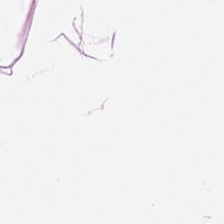224×224 px tile · brightfield microscopy · H&E-stained tissue section — Q: What tissue is shown?
A: This is adipose tissue.
